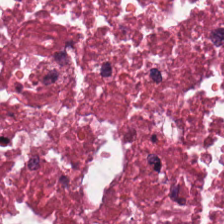224×224 px patch. Formalin-fixed paraffin-embedded section. H&E.
Impression → cellular debris.
